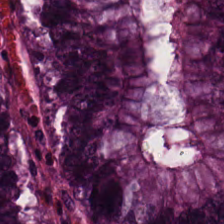224×224 px tile; 20× equivalent magnification; H&E stain.
Q: What is shown here?
A: This is non-neoplastic colon mucosa.
